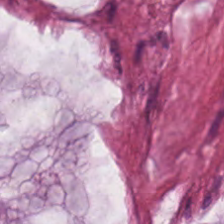224×224 px tile; hematoxylin and eosin. The tissue class is mucus.
